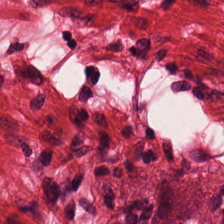H&E stain; FFPE tissue section — Showing smooth muscle.
